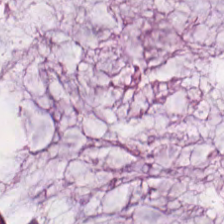0.5 microns per pixel. H&E stain. The tissue here is extracellular mucin.
